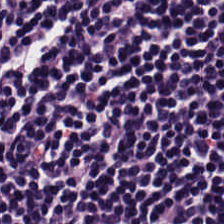Brightfield. H&E-stained tissue section. Tissue — lymphoid infiltrate.
